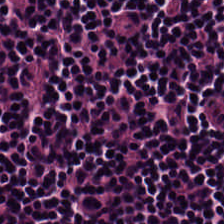Stain: hematoxylin-and-eosin stained section.
Resolution: 0.5 µm per pixel.
Tissue class: lymphoid infiltrate.
